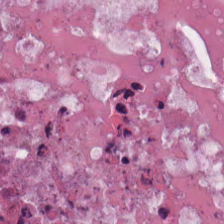The tissue type is cellular debris.
